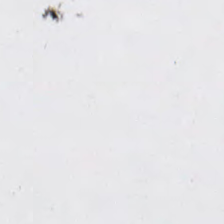H&E stain — Empty field — background (no tissue).
